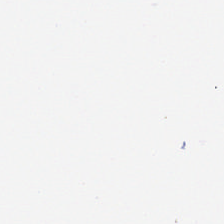H&E stain.
This field is background (no tissue).
